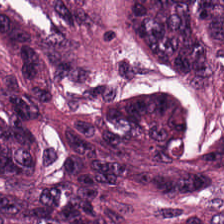H&E-stained tissue section; brightfield.
Tissue class — malignant epithelium.
